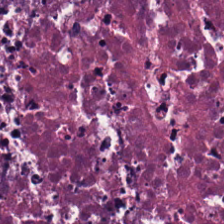This field is cellular debris.
